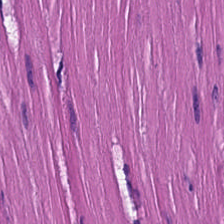H&E stain — Q: What type of tissue is this?
A: Muscularis.
